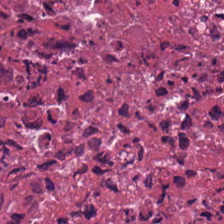Hematoxylin and eosin · 224×224 pixel tile. Q: What tissue is shown?
A: The field shows necrotic debris.
